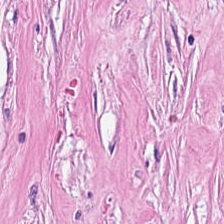FFPE. H&E.
Finding — tumor stroma.
